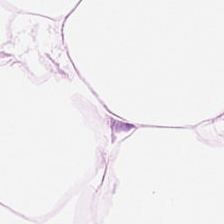Hematoxylin and eosin; 0.5 µm/px — The classification is adipose tissue.
